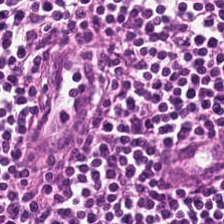Hematoxylin-and-eosin stained section — {"tissue_type": "lymphocytic infiltrate"}
